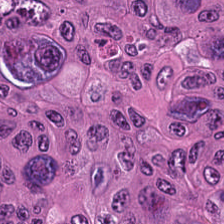H&E-stained tissue section; WSI patch. Colorectal adenocarcinoma.
